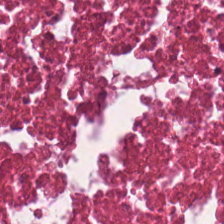This field is cellular debris.
